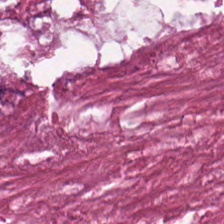H&E stain — Q: Identify the tissue.
A: The field shows cellular debris.
